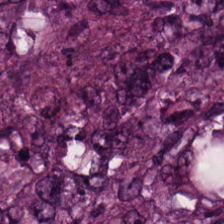Stain: hematoxylin-and-eosin stained section.
Tissue: colorectal adenocarcinoma epithelium.
